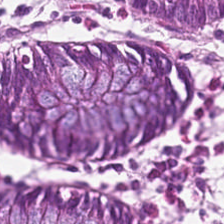Finding — benign colonic mucosa.
